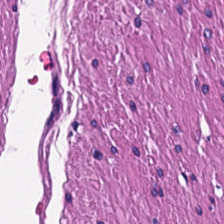Hematoxylin-and-eosin stained section — Q: What is the predominant tissue type?
A: Smooth-muscle tissue.
